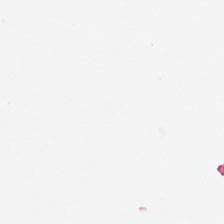H&E; 224×224 px tile; 20× equivalent magnification.
This field is background (no tissue).
